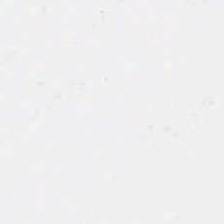Finding — background (no tissue).
